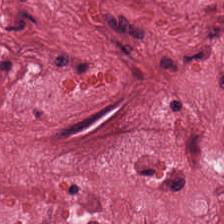Stain: H&E-stained tissue section.
Resolution: 0.5 µm per pixel.
Tissue: tumor stroma.
